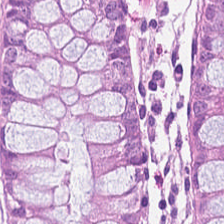Stain: hematoxylin and eosin.
Classification: benign colonic mucosa.
